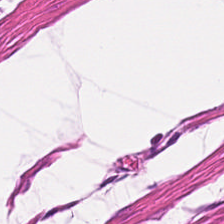Hematoxylin and eosin · brightfield microscopy. Tissue — smooth muscle.
